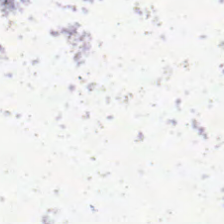H&E stain. Q: What is shown here?
A: The field shows background.
